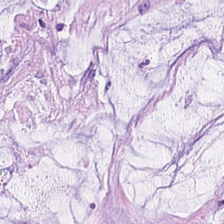H&E-stained tissue section; FFPE.
Mucus.
